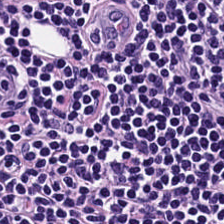0.5 microns per pixel. Hematoxylin-and-eosin stained section.
Predominant tissue: lymphocyte aggregate.
